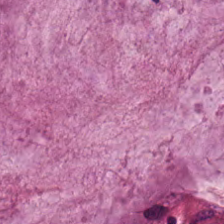Hematoxylin and eosin. Showing extracellular mucin.
